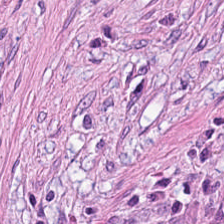Hematoxylin and eosin — Q: What does this patch show?
A: The field shows desmoplastic stroma.
